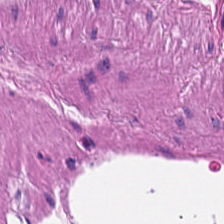The tissue is smooth-muscle tissue.
